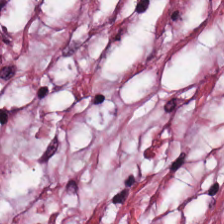H&E-stained tissue section — The tissue here is cancer-associated stroma.
